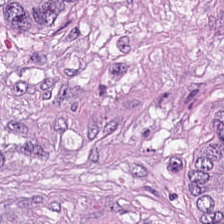H&E stain. 224×224 px patch.
Colorectal adenocarcinoma.
